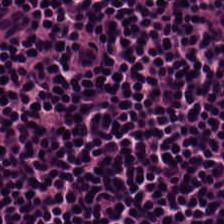Stain: hematoxylin and eosin.
Resolution: 0.5 µm/px.
Acquisition: WSI patch.
Tissue class: lymphocytic infiltrate.
